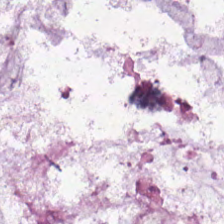H&E stain. Histology — mucin.
